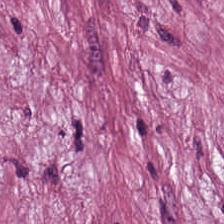H&E. Histology — tumor stroma.
